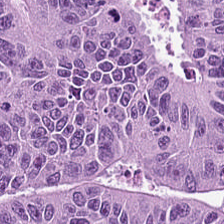Hematoxylin-and-eosin stained section. Q: What type of tissue is this?
A: This is tumor epithelium.
